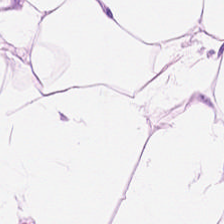Hematoxylin-and-eosin stained section — Showing fat tissue.
